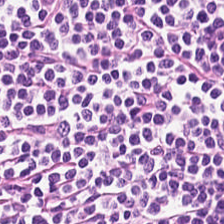Stain: H&E stain.
Resolution: 0.5 µm/px.
Classification: lymphoid infiltrate.
